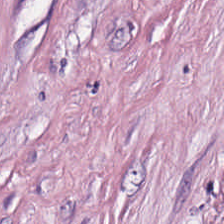Tissue: tumor-associated stroma.
